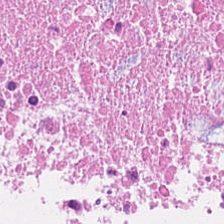H&E-stained tissue section — Histology — cellular debris.
